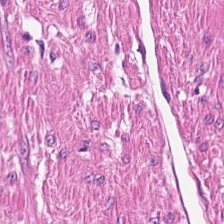The predominant tissue is muscularis.
